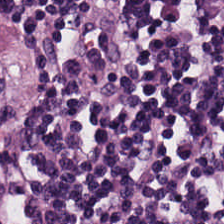Hematoxylin-and-eosin stained section — Tissue type — lymphocytes.
